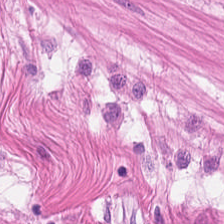H&E · 224×224 px patch · 20× equivalent magnification. Tissue class: smooth muscle.
